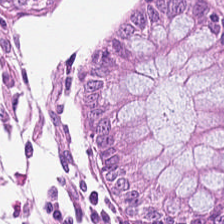H&E-stained tissue section; 20× equivalent magnification.
Histology — benign colonic mucosa.
